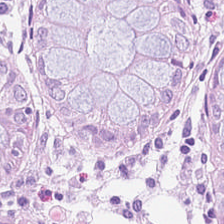224×224 px tile. H&E.
The classification is normal colon mucosa.
